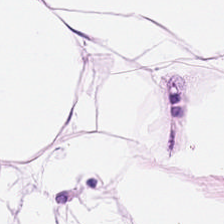H&E stain · FFPE tissue section · brightfield — Adipose.
